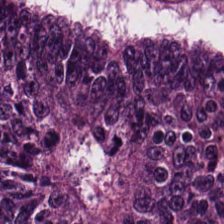This patch shows colorectal adenocarcinoma epithelium.
